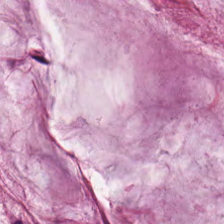Hematoxylin-and-eosin stained section — Impression → extracellular mucin.
